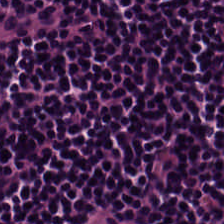H&E-stained tissue section · formalin-fixed paraffin-embedded section — Q: What tissue is shown?
A: Lymphocytic infiltrate.
